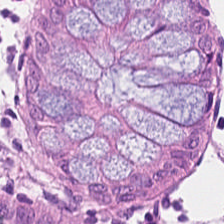224×224 px tile; H&E stain — Showing non-neoplastic colon mucosa.
